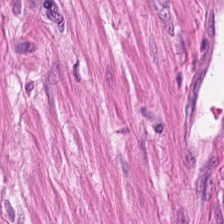H&E — This field is smooth muscle.
